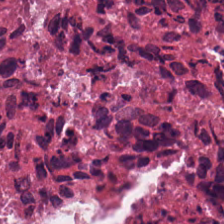Q: What is shown here?
A: It is debris.
